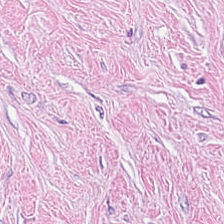Stain: H&E-stained tissue section.
Acquisition: brightfield microscopy.
Preparation: formalin-fixed paraffin-embedded section.
Predominant tissue: cancer-associated stroma.
